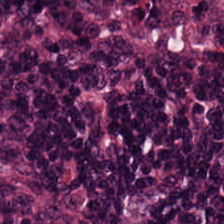Q: Classify this patch.
A: Lymphocyte aggregate.
